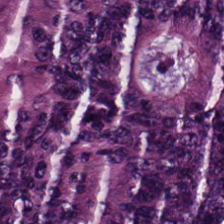The tissue here is colorectal adenocarcinoma epithelium.
